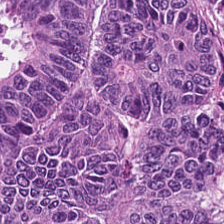The predominant tissue is colorectal adenocarcinoma epithelium.
